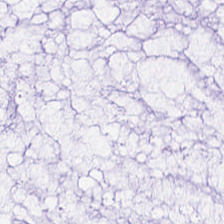WSI patch. H&E stain.
Q: What type of tissue is this?
A: Extracellular mucin.
